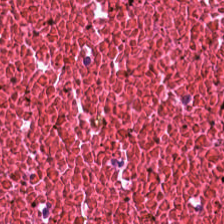Showing cellular debris.
